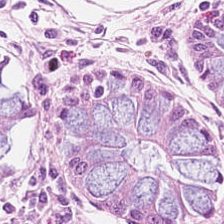Hematoxylin-and-eosin section: normal colon mucosa.
